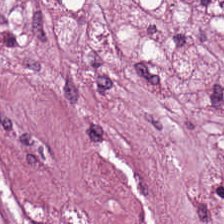Impression → cancer-associated stroma.
